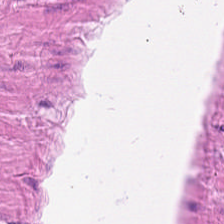H&E.
Q: What is the predominant tissue type?
A: The field shows muscularis.
